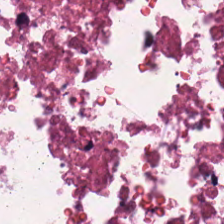Stain: hematoxylin-and-eosin stained section.
Classification: necrotic debris.
